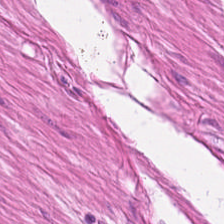Brightfield microscopy. H&E. Predominantly smooth-muscle tissue.
